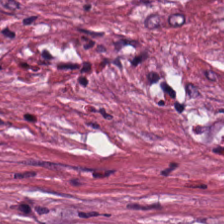H&E — cancer-associated stroma.
